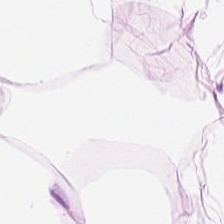Hematoxylin and eosin.
Showing adipose tissue.
